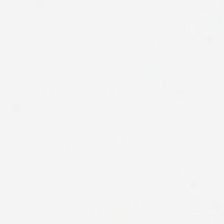H&E stain.
Content: background (no tissue).
